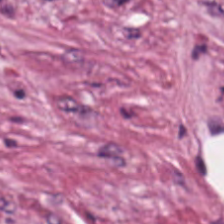Classification = cancer-associated stroma.
